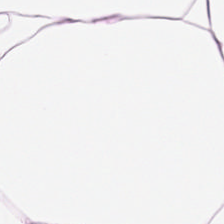224×224 pixel tile; hematoxylin and eosin. This patch shows fat tissue.
